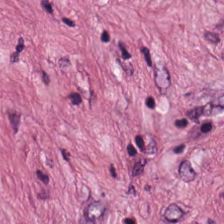Formalin-fixed paraffin-embedded section. Hematoxylin and eosin. WSI patch. Q: What is the predominant tissue type?
A: The field shows tumor-associated stroma.
